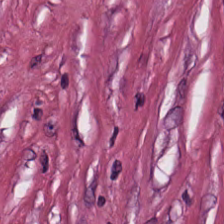Stain: H&E.
Classification: tumor-associated stroma.
